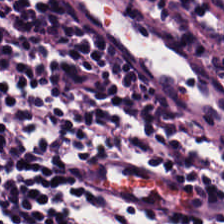H&E-stained tissue section.
Q: What is shown in this field?
A: The field shows lymphoid infiltrate.
